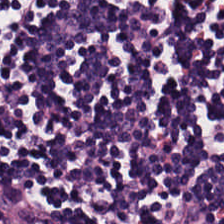H&E-stained tissue section · brightfield · 0.5 microns per pixel — The predominant tissue is lymphocytes.
